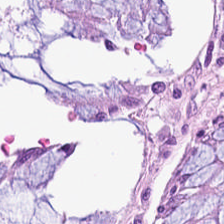H&E stain. Q: What is shown here?
A: Normal colon mucosa.
